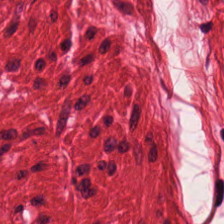Brightfield microscopy. H&E-stained tissue section — Impression → smooth-muscle tissue.
